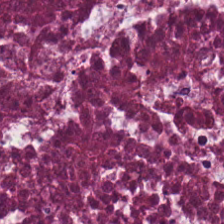Q: Identify the tissue.
A: Debris.
